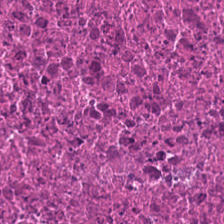H&E stain · 0.5 µm/px. This field is debris.
